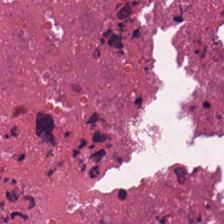H&E.
The classification is necrotic debris.
